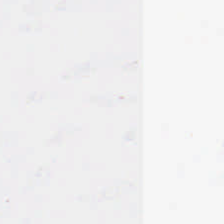{"content": "no tissue"}
